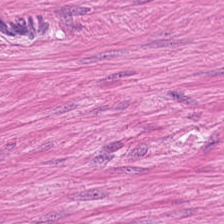Hematoxylin and eosin.
Showing smooth-muscle tissue.
